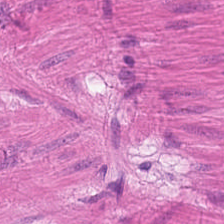The tissue type is smooth-muscle tissue.
